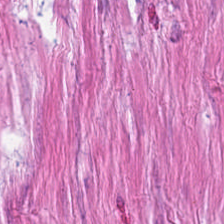Formalin-fixed paraffin-embedded section; H&E-stained tissue section; 20× equivalent magnification. The predominant tissue is muscularis.
